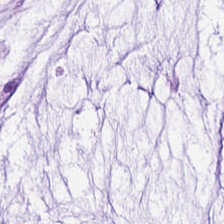Stain: H&E.
Predominant tissue: mucin.
